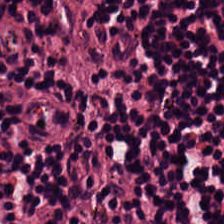H&E — Q: What is shown in this field?
A: Lymphoid infiltrate.
